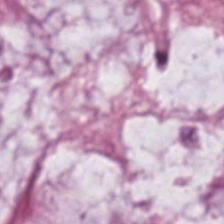H&E stain — Finding → mucus.
